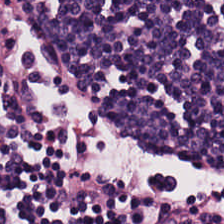224×224 px patch. Hematoxylin and eosin.
The predominant tissue is lymphocytes.
